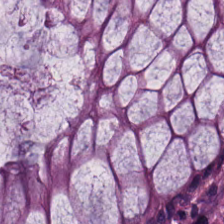Q: Identify the tissue.
A: Normal colon mucosa.
